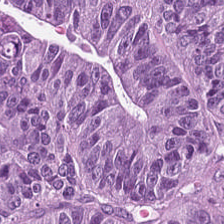Showing adenocarcinoma.
